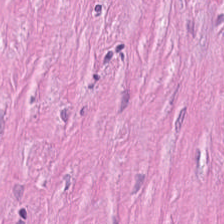FFPE tissue section. Hematoxylin and eosin — The predominant tissue is desmoplastic stroma.
